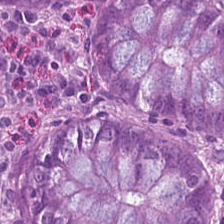Stain: hematoxylin and eosin.
Resolution: 0.5 µm per pixel.
Tissue type: non-neoplastic colon mucosa.
